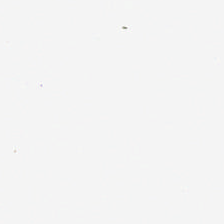Stain: hematoxylin and eosin.
Field content: empty background.
